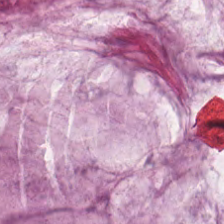H&E stain. Q: What is the predominant tissue type?
A: This is mucin.
